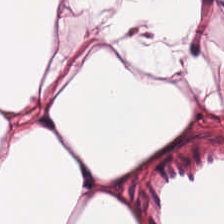Tissue: adipose.
